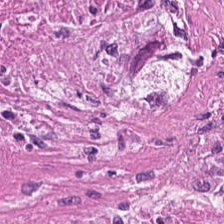Q: What is shown in this field?
A: Cellular debris.
